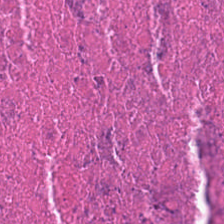H&E.
Q: What is shown in this field?
A: It is necrotic debris.
